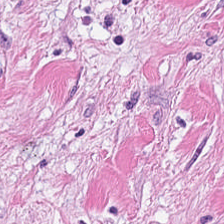{"tissue_type": "tumor stroma"}
